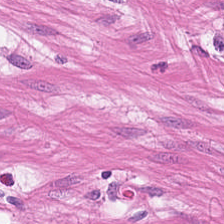Hematoxylin-and-eosin stained section — Predominantly muscularis.
